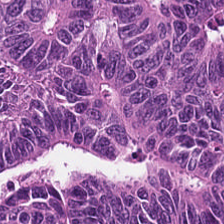Hematoxylin and eosin. 20× equivalent magnification — The tissue type is tumor epithelium.
